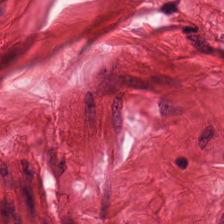Stain: hematoxylin and eosin.
Resolution: 0.5 µm per pixel.
Tissue class: smooth-muscle tissue.
